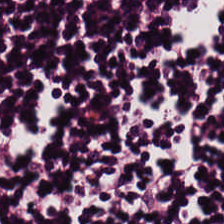H&E-stained tissue section. Brightfield microscopy.
Impression → lymphocyte aggregate.
